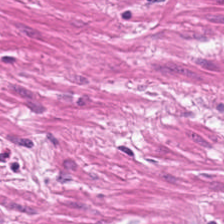Brightfield · hematoxylin-and-eosin stained section · formalin-fixed paraffin-embedded section. Tissue type = smooth muscle.
